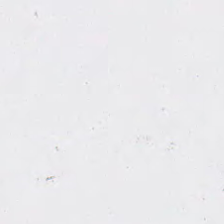H&E — Background — no tissue in this field.
